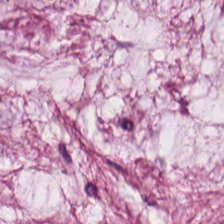FFPE · H&E. Tissue class: mucin.
